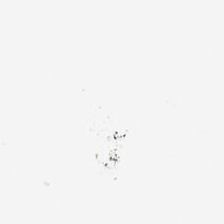FFPE · H&E-stained tissue section — Background — no tissue in this field.
